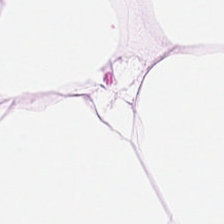H&E stain — Q: What type of tissue is this?
A: This is adipose.
